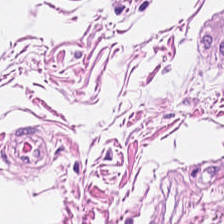H&E stain.
The predominant tissue is smooth muscle.
